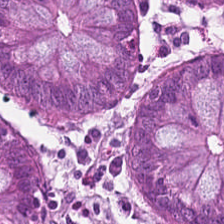H&E-stained tissue section.
The tissue here is benign colonic mucosa.
